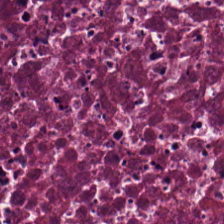H&E-stained tissue section · FFPE. This patch shows necrotic debris.
